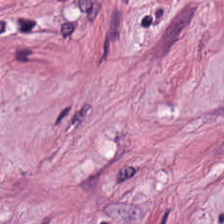H&E — This field is tumor stroma.
